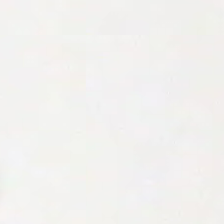Hematoxylin and eosin. WSI patch.
This patch shows no tissue.
